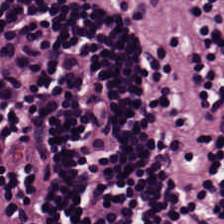Hematoxylin and eosin. 224×224 px patch.
The predominant tissue is lymphocytic infiltrate.
